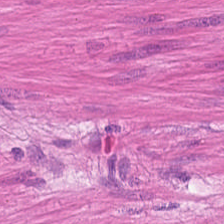Hematoxylin-and-eosin stained section — Predominant tissue = smooth muscle.
